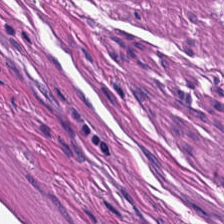FFPE; hematoxylin and eosin. Smooth muscle.
